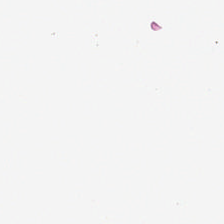Hematoxylin and eosin. The content is no tissue.
